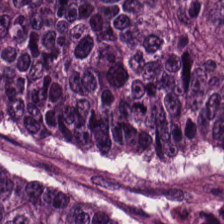H&E stain · 224×224 px tile.
Q: What type of tissue is this?
A: The field shows malignant epithelium.
